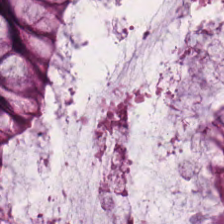Stain: H&E.
Classification: normal colonic mucosa.
